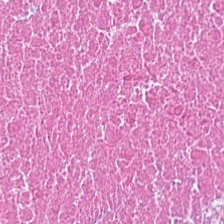Finding — cellular debris.
